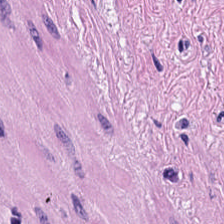Hematoxylin and eosin. Tissue = smooth-muscle tissue.
